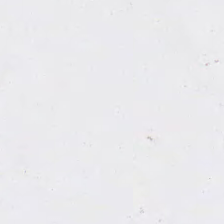Hematoxylin-and-eosin stained section; FFPE tissue section. This patch shows no tissue.
